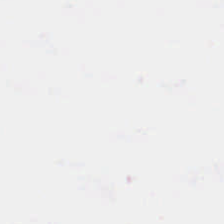Whole-slide-image patch · hematoxylin-and-eosin stained section · 224×224 pixel tile. Q: What is shown here?
A: This is background (no tissue).
